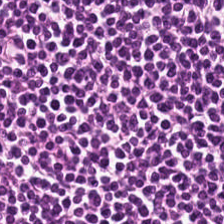H&E patch showing lymphocytes.
